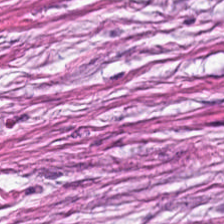H&E stain — Q: What tissue type is shown here?
A: It is cancer-associated stroma.
